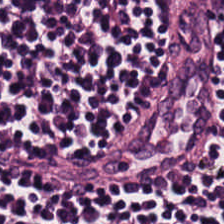Stain: H&E-stained tissue section.
Predominant tissue: lymphocytes.
